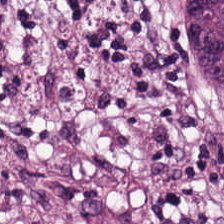H&E-stained tissue section · 0.5 µm per pixel — Tissue — cancer-associated stroma.
